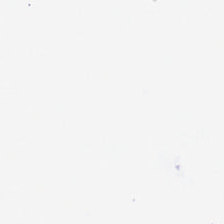H&E — Q: What is shown here?
A: This is no tissue.
